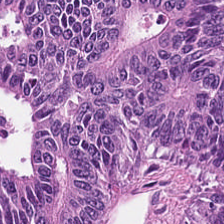H&E stain. FFPE tissue section.
Predominantly tumor epithelium.
